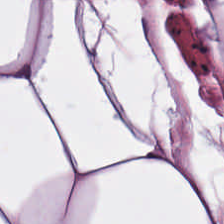Hematoxylin-and-eosin stained section — Impression — fat tissue.
